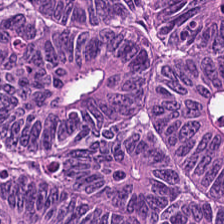Hematoxylin-and-eosin stained section — The predominant tissue is adenocarcinoma.
